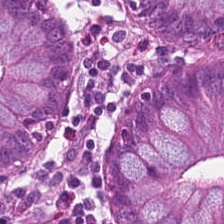H&E.
{"tissue_type": "non-neoplastic colon mucosa"}
